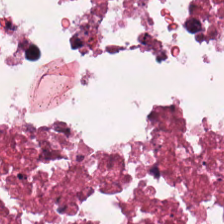H&E stain. FFPE tissue section. WSI patch — Showing cellular debris.
